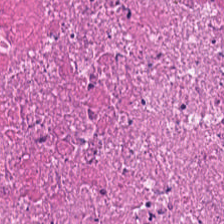H&E-stained tissue section.
Predominant tissue = debris.
